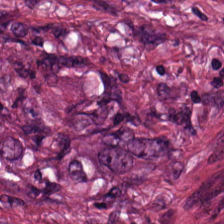224×224 px tile · H&E stain.
Finding → desmoplastic stroma.
